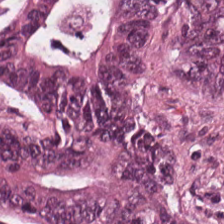Predominantly colorectal adenocarcinoma epithelium.
